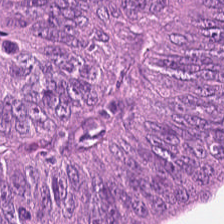{"tissue_type": "colorectal adenocarcinoma"}
